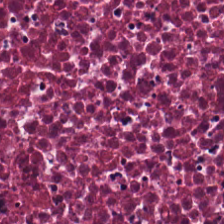Stain: hematoxylin-and-eosin stained section.
Predominant tissue: debris.
